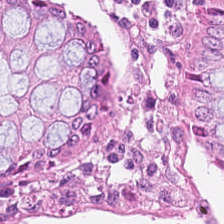FFPE · hematoxylin and eosin · 224×224 px tile. Q: Classify this patch.
A: The field shows non-neoplastic colon mucosa.
